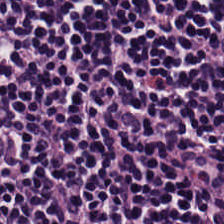Tissue: lymphoid infiltrate.
